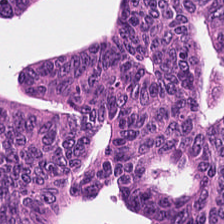H&E.
Q: What is the predominant tissue type?
A: Colorectal adenocarcinoma epithelium.
